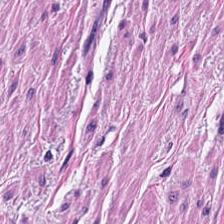H&E stain. Showing smooth-muscle tissue.
